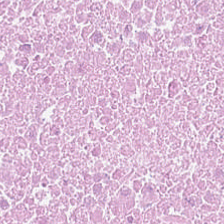Hematoxylin and eosin; 224×224 px patch — Classification: cellular debris.
